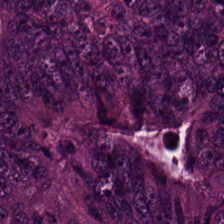Tissue type — colorectal adenocarcinoma.
